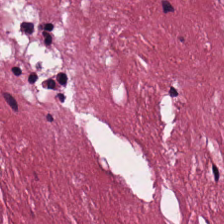Brightfield · H&E-stained tissue section — Showing tumor stroma.
